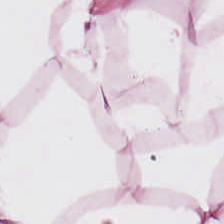Hematoxylin-and-eosin stained section — Adipose tissue.
